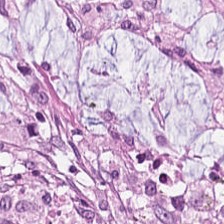Brightfield; hematoxylin and eosin. Tissue type = tumor-associated stroma.
